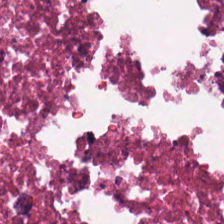0.5 µm per pixel; hematoxylin and eosin.
The predominant tissue is cellular debris.
